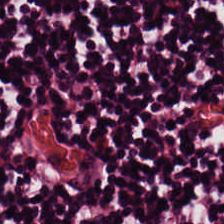Hematoxylin-and-eosin stained section; 0.5 microns per pixel; WSI patch. Histology — lymphoid infiltrate.
